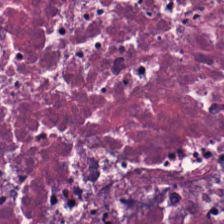Stain: H&E stain.
Predominant tissue: cellular debris.
